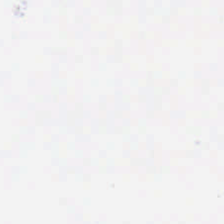0.5 µm/px · H&E stain. Content = empty background.
